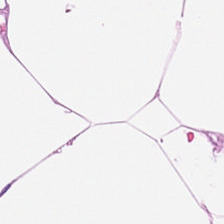WSI patch; H&E stain — The tissue is adipose.
